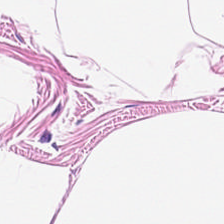H&E stain — This field is adipose.
